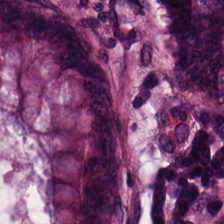224×224 px tile. H&E.
The predominant tissue is benign colonic mucosa.
